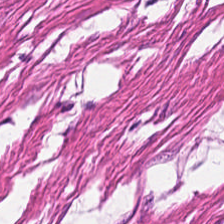Hematoxylin-and-eosin stained section. Showing smooth muscle.
